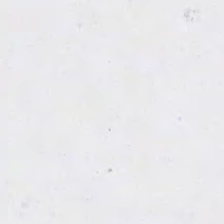H&E stain. Background (no tissue).
